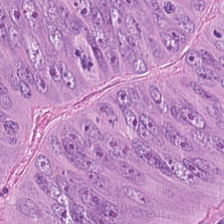224×224 px tile; hematoxylin and eosin — Adenocarcinoma.
